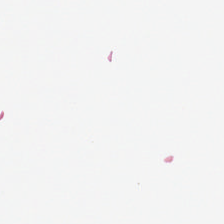224×224 px patch · H&E-stained tissue section.
Q: What is shown here?
A: This is empty background.
